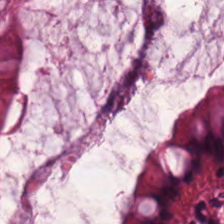0.5 microns per pixel. Hematoxylin and eosin. 224×224 pixel tile. {"tissue_type": "normal colon mucosa"}
